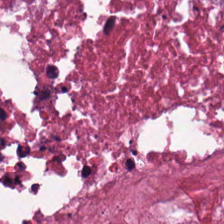Brightfield microscopy · H&E-stained tissue section.
Q: What tissue is shown?
A: It is necrotic debris.
